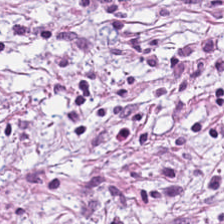H&E stain. Q: What is the predominant tissue type?
A: The field shows tumor-associated stroma.
